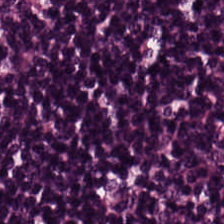H&E stain.
Predominant tissue = lymphocytes.
